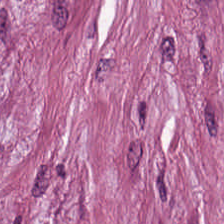H&E-stained tissue section — The predominant tissue is tumor-associated stroma.
